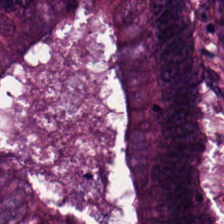Brightfield microscopy. 0.5 microns per pixel. H&E-stained tissue section. Tissue class — adenocarcinoma.
